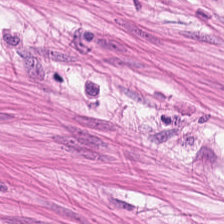Hematoxylin and eosin. Predominant tissue: muscularis.
